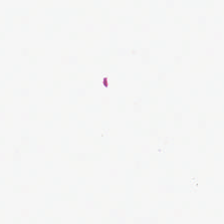Brightfield · 224×224 px tile · H&E.
This patch shows no tissue.
